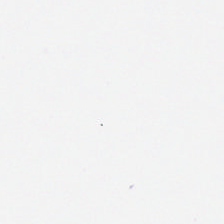Stain: H&E stain.
Classification: background.
